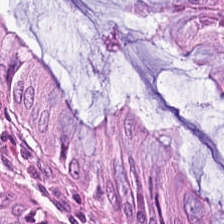224×224 px patch · H&E stain. The tissue here is normal colonic mucosa.
